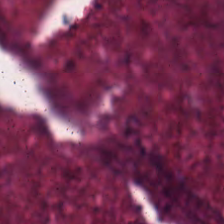Hematoxylin and eosin — Histology — debris.
